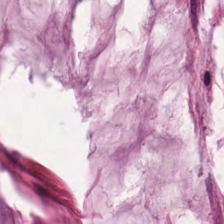Stain: H&E stain.
Classification: mucin.
